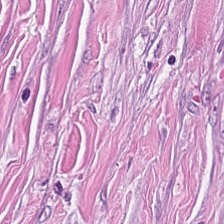FFPE; H&E-stained tissue section — The tissue type is cancer-associated stroma.
